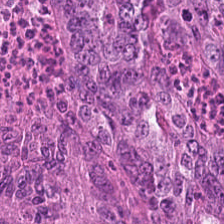Q: Identify the tissue.
A: This is colorectal adenocarcinoma.
